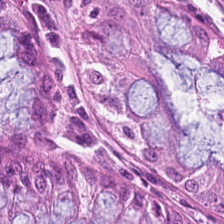Stain: H&E-stained tissue section.
Acquisition: WSI patch.
Tissue type: normal colon mucosa.
